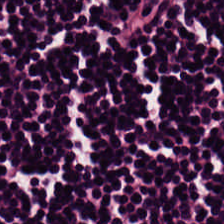Predominant tissue: lymphoid infiltrate.
